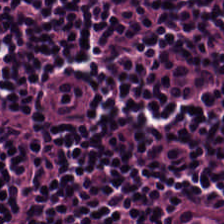Stain: H&E-stained tissue section.
Tissue: lymphocyte aggregate.
